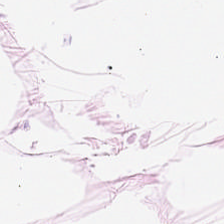0.5 microns per pixel. Hematoxylin-and-eosin stained section — This field is adipose.
